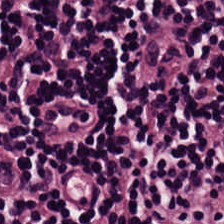Impression — lymphocyte aggregate.
